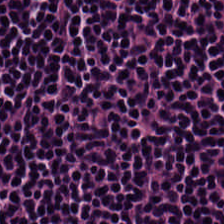H&E-stained tissue section. Showing lymphocyte aggregate.
